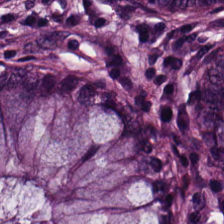Classification: normal colonic mucosa.
